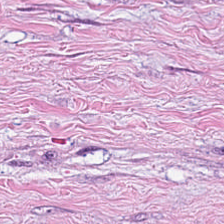Tissue: desmoplastic stroma.
